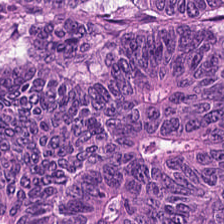H&E · 20× equivalent magnification — The predominant tissue is adenocarcinoma.
